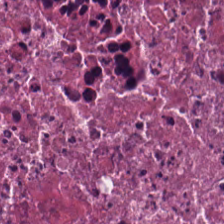H&E-stained tissue section; brightfield microscopy — Q: Identify the tissue.
A: This is necrotic debris.
